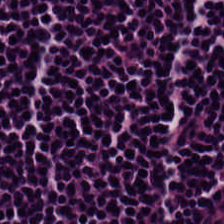Hematoxylin-and-eosin stained section · 224×224 pixel tile — Showing lymphocyte aggregate.
